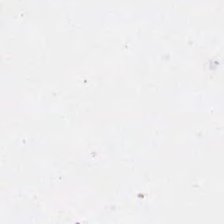Hematoxylin and eosin. Brightfield. 0.5 microns per pixel — Finding — empty background.
